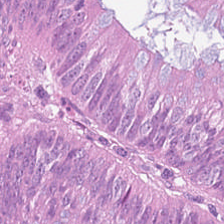H&E stain. 224×224 px tile. 20× equivalent magnification.
{"tissue_type": "colorectal adenocarcinoma epithelium"}
